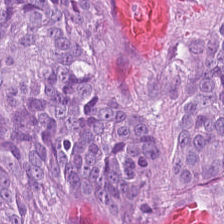Stain: hematoxylin-and-eosin stained section.
Classification: tumor epithelium.
